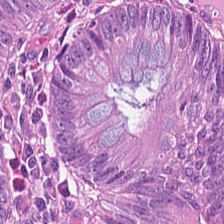Q: What is shown here?
A: Malignant epithelium.
